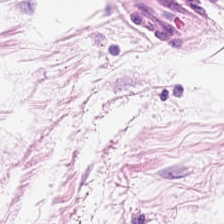H&E — adipocytes.
